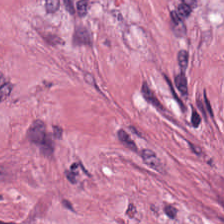Hematoxylin and eosin — Q: What is shown here?
A: Desmoplastic stroma.
